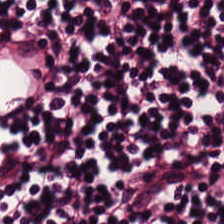Hematoxylin-and-eosin section: lymphoid infiltrate.
